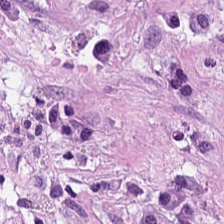This field is tumor stroma.
